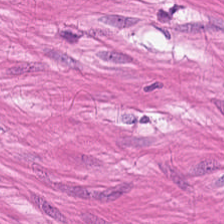224×224 px tile · formalin-fixed paraffin-embedded section · H&E. Histology — smooth muscle.
